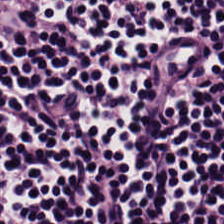Stain: hematoxylin-and-eosin stained section.
Preparation: formalin-fixed paraffin-embedded section.
Tile size: 224×224 pixel tile.
Tissue type: lymphocytic infiltrate.
